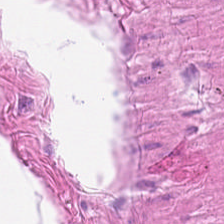H&E; WSI patch.
This patch shows smooth muscle.
